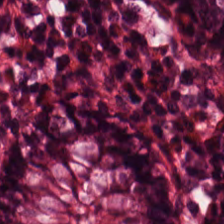0.5 microns per pixel. H&E-stained tissue section — Tissue type — non-neoplastic colon mucosa.
